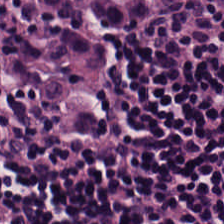Stain: H&E stain.
Tissue class: lymphocytic infiltrate.
